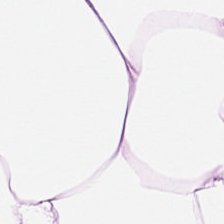H&E; brightfield — Classification: fat tissue.
